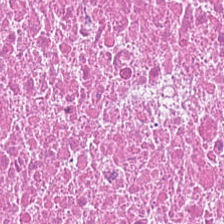Whole-slide-image patch · hematoxylin and eosin · 224×224 px patch — Showing debris.
